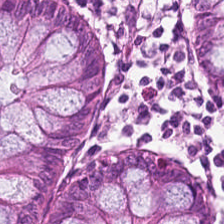H&E stain · WSI patch. Tissue class = normal colon mucosa.
